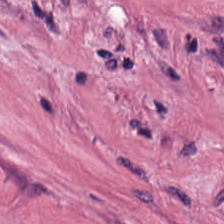H&E-stained tissue section; 0.5 microns per pixel; brightfield. Classification = tumor-associated stroma.
